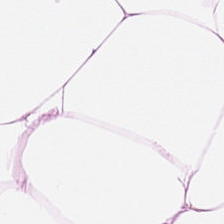H&E.
Q: Classify this patch.
A: Adipose tissue.
